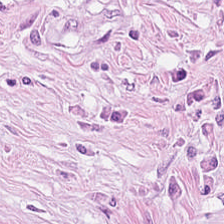Hematoxylin and eosin — The classification is desmoplastic stroma.
